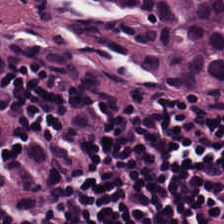Hematoxylin-and-eosin stained section · FFPE tissue section · brightfield. Histology → lymphocytic infiltrate.
